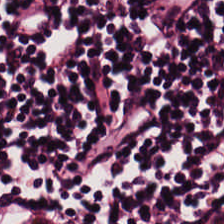H&E-stained tissue section — Q: Classify this patch.
A: The field shows lymphocytes.
